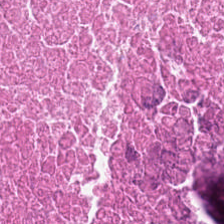Formalin-fixed paraffin-embedded section; H&E stain.
The predominant tissue is debris.
